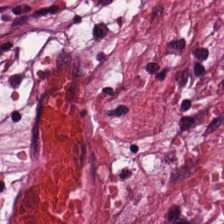H&E — Predominantly cancer-associated stroma.
